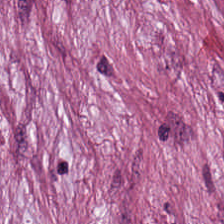Whole-slide-image patch; hematoxylin and eosin; formalin-fixed paraffin-embedded section. Tissue class: tumor-associated stroma.
